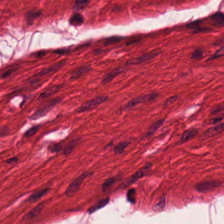H&E · 224×224 px tile. The tissue class is smooth-muscle tissue.
